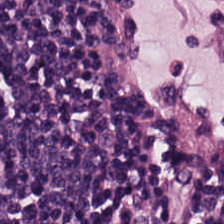H&E-stained tissue section.
The tissue type is lymphoid infiltrate.
